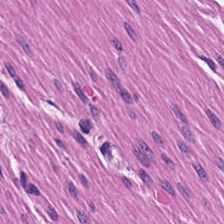Hematoxylin-and-eosin stained section; 20× equivalent magnification.
The predominant tissue is smooth muscle.
